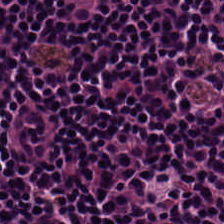This patch shows lymphocytes.
